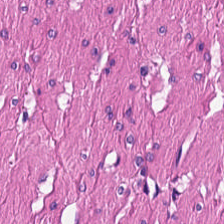H&E. Q: Classify this patch.
A: This is muscularis.
